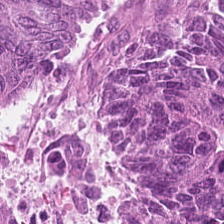Stain: H&E-stained tissue section.
Resolution: 0.5 µm per pixel.
Tissue: colorectal adenocarcinoma epithelium.
